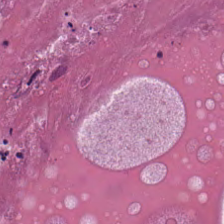This field is necrotic debris.
